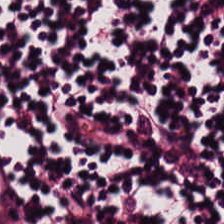Hematoxylin and eosin. Q: What type of tissue is this?
A: The field shows lymphoid infiltrate.
